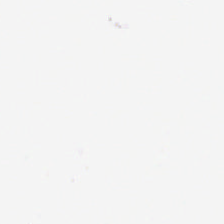{"content": "background"}
